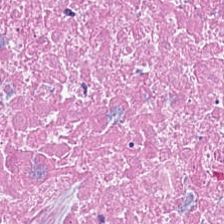H&E stain. FFPE. Brightfield.
The tissue here is cellular debris.
